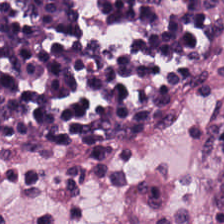H&E-stained tissue section. Q: What tissue is shown?
A: This is lymphocyte aggregate.
